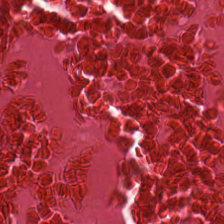Hematoxylin-and-eosin stained section. Showing debris.
